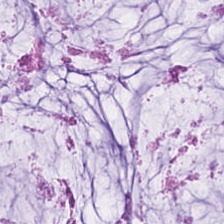224×224 pixel tile. Hematoxylin and eosin — Q: What does this patch show?
A: The field shows extracellular mucin.
